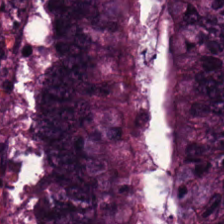Stain: H&E stain.
Tissue class: malignant epithelium.
